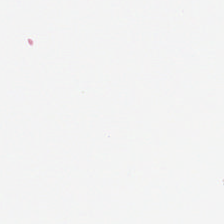H&E stain.
This patch shows no tissue.
